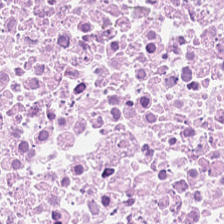FFPE. 0.5 µm/px. H&E-stained tissue section.
The predominant tissue is debris.
